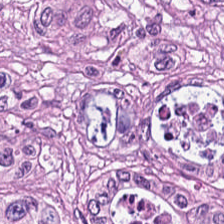H&E.
Classification = colorectal adenocarcinoma epithelium.
